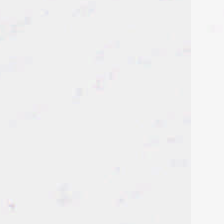H&E stain · 0.5 microns per pixel · WSI patch.
This patch shows empty background.
